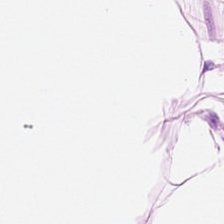H&E. 0.5 µm/px. Whole-slide-image patch.
The predominant tissue is adipose.
